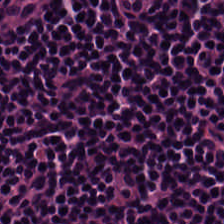This patch shows lymphoid infiltrate.
